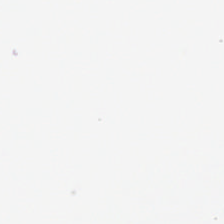H&E-stained tissue section — Q: Classify this patch.
A: It is background (no tissue).
